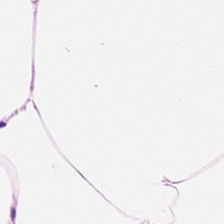Hematoxylin-and-eosin stained section — Predominantly adipocytes.
